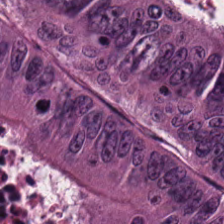Q: What is the predominant tissue type?
A: The field shows colorectal adenocarcinoma.
